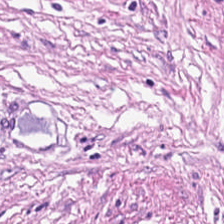0.5 µm/px. 224×224 px patch. Hematoxylin-and-eosin stained section.
Histology → tumor stroma.
